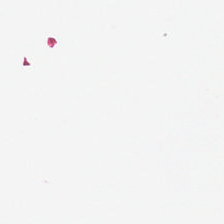H&E; 224×224 px tile. Content: empty background.
